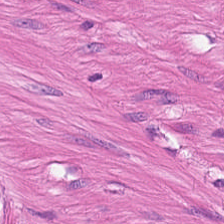H&E stain. Smooth muscle.
